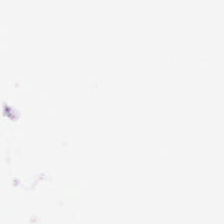Hematoxylin-and-eosin stained section. No tissue present; background only.
